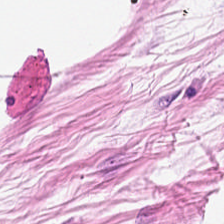Formalin-fixed paraffin-embedded section. H&E. 0.5 µm/px. The tissue is adipose tissue.
